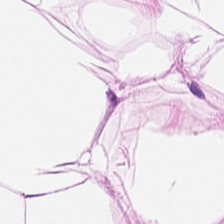Stain: hematoxylin and eosin.
Tissue class: adipocytes.
